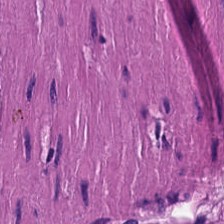H&E — Tissue: muscularis.
